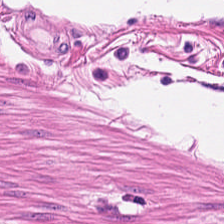Classification: muscularis.
